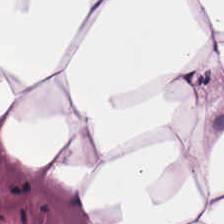H&E stain; 224×224 pixel tile.
Adipocytes.
